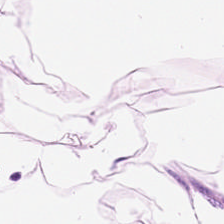H&E-stained tissue section.
Predominantly fat tissue.
